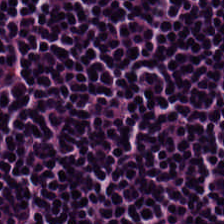Hematoxylin-and-eosin stained section; 0.5 µm/px; whole-slide-image patch. Predominantly lymphocyte aggregate.
